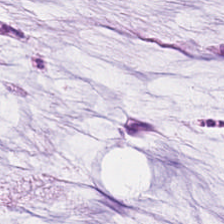The tissue here is extracellular mucin.
